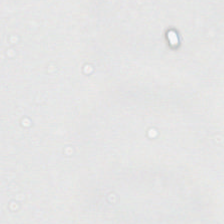Stain: hematoxylin-and-eosin stained section.
Content: background.
